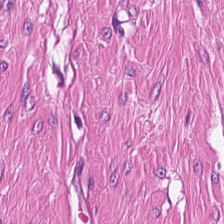Showing muscularis.
